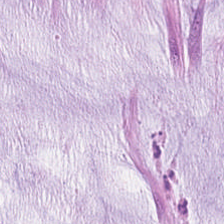H&E stain. 0.5 microns per pixel. 224×224 pixel tile — Tissue = extracellular mucin.
